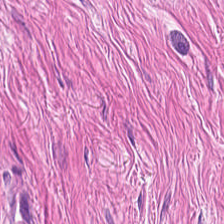H&E stain. Brightfield microscopy.
Finding — muscularis.
